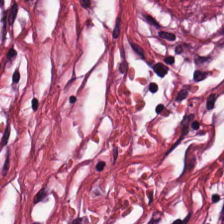Whole-slide-image patch · FFPE · hematoxylin and eosin. Predominant tissue: desmoplastic stroma.
